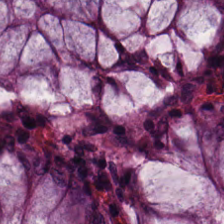The tissue type is normal colonic mucosa.
